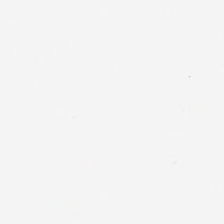Stain: H&E-stained tissue section.
Tile size: 224×224 px patch.
Resolution: 0.5 microns per pixel.
Field content: background (no tissue).
